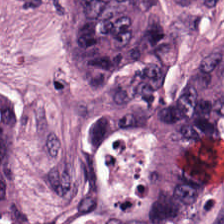Q: What tissue is shown?
A: Tumor epithelium.
